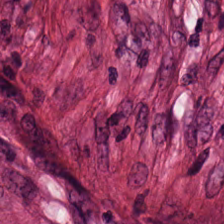Hematoxylin and eosin. FFPE. Showing desmoplastic stroma.
